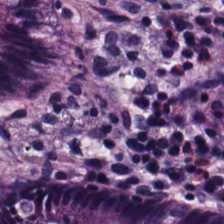H&E stain. Finding — normal colonic mucosa.
